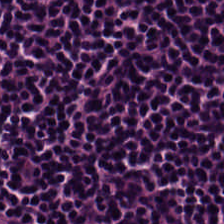Predominant tissue = lymphocytes.
